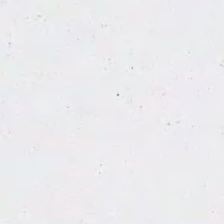Stain: hematoxylin-and-eosin stained section.
Acquisition: whole-slide-image patch.
Content: empty background.
